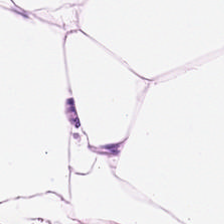Hematoxylin-and-eosin stained section · whole-slide-image patch · 0.5 microns per pixel. Q: What is shown in this field?
A: The field shows adipose tissue.
